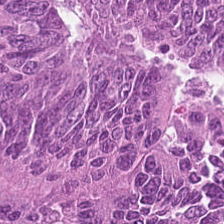Stain: H&E-stained tissue section.
Tissue class: tumor epithelium.
